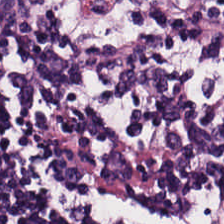H&E-stained tissue section.
Classification — lymphoid infiltrate.
